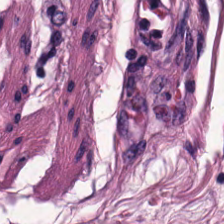Hematoxylin-and-eosin stained section; 0.5 microns per pixel; FFPE tissue section. Predominantly muscularis.
